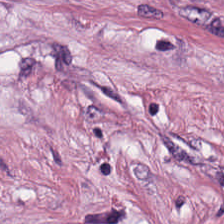224×224 px patch; H&E-stained tissue section.
Tissue class = tumor-associated stroma.
